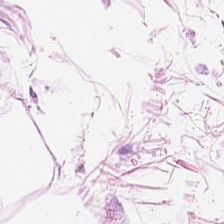Showing adipocytes.
